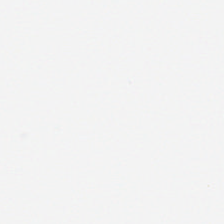H&E. Background — no tissue in this field.
